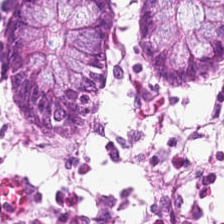H&E stain — {"tissue_type": "non-neoplastic colon mucosa"}
